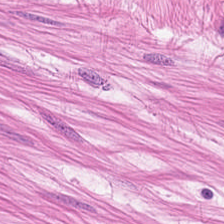The predominant tissue is smooth muscle.
